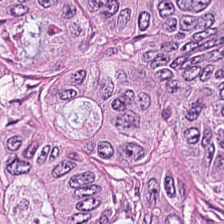H&E stain. Whole-slide-image patch.
Impression — tumor epithelium.
